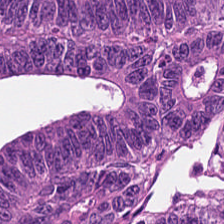Q: What tissue is shown?
A: It is colorectal adenocarcinoma epithelium.
